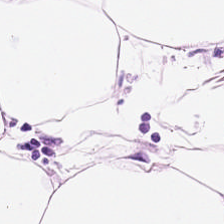H&E-stained tissue section. Q: What does this patch show?
A: Adipocytes.
